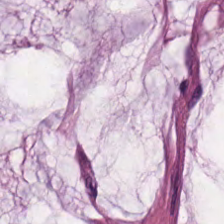H&E stain. 224×224 px tile.
Showing extracellular mucin.
